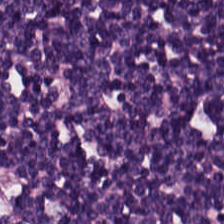Hematoxylin and eosin. Histology → lymphocyte aggregate.
